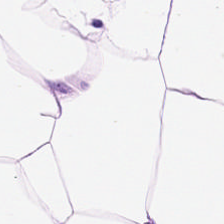Hematoxylin and eosin. 20× equivalent magnification — The predominant tissue is adipocytes.
